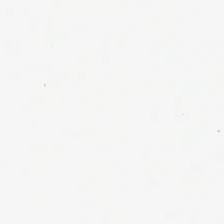224×224 pixel tile · hematoxylin-and-eosin stained section — Background — no tissue in this field.
